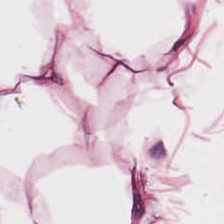H&E. The tissue class is adipose.
